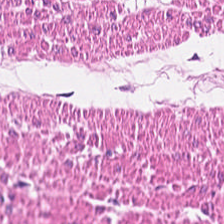Hematoxylin and eosin. 224×224 px tile.
Predominant tissue = smooth muscle.
